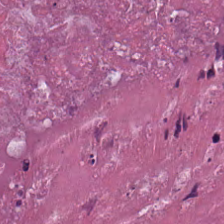FFPE tissue section. 224×224 pixel tile. H&E-stained tissue section.
Classification = cellular debris.
